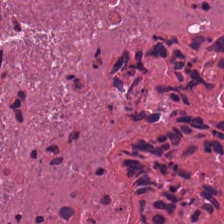H&E-stained tissue section.
Impression — debris.
